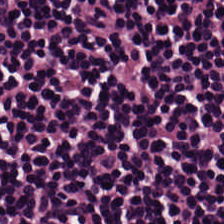Hematoxylin-and-eosin stained section; FFPE; 0.5 µm per pixel. Q: What type of tissue is this?
A: The field shows lymphoid infiltrate.
